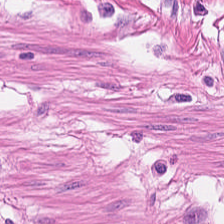Hematoxylin and eosin — The predominant tissue is smooth muscle.
